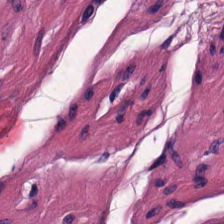Hematoxylin-and-eosin stained section; FFPE tissue section.
Impression — smooth-muscle tissue.
